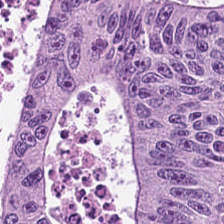Stain: H&E-stained tissue section.
Classification: malignant epithelium.
